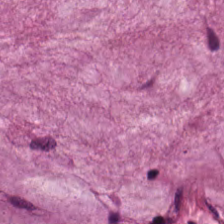Hematoxylin-and-eosin stained section. {"tissue_type": "extracellular mucin"}
